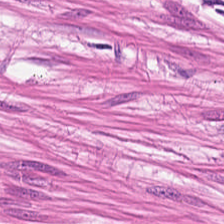Stain: hematoxylin-and-eosin stained section.
Tissue: smooth-muscle tissue.
